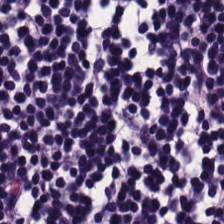224×224 px tile · H&E stain · brightfield.
Predominant tissue: lymphocytic infiltrate.
